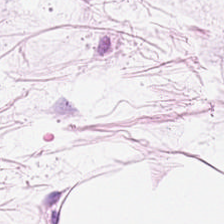H&E stain.
Q: What is shown here?
A: This is fat tissue.
